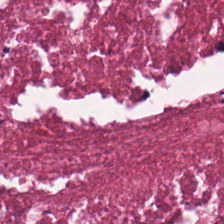H&E-stained tissue section showing necrotic debris.
